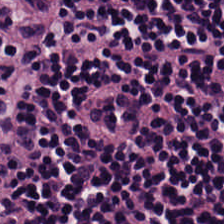Stain: H&E.
Tissue class: lymphocyte aggregate.
